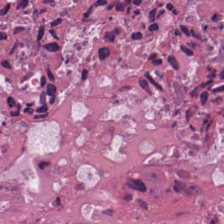Hematoxylin-and-eosin stained section. 20× equivalent magnification. Q: Classify this patch.
A: The field shows debris.
